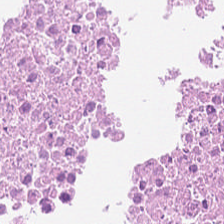H&E-stained section; the field shows debris.
